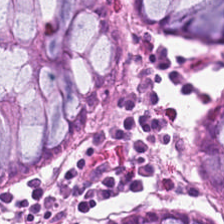Brightfield. Hematoxylin and eosin.
Tissue — normal colon mucosa.
